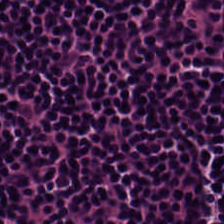Hematoxylin and eosin — The classification is lymphocytes.
